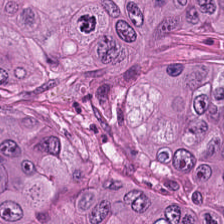224×224 pixel tile. Whole-slide-image patch. Hematoxylin and eosin — The tissue here is colorectal adenocarcinoma.
